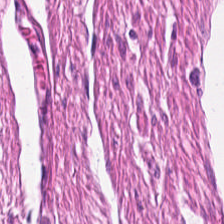224×224 px tile; H&E stain — Classification: smooth-muscle tissue.
